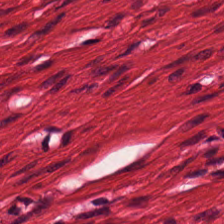Hematoxylin-and-eosin stained section — Tissue class = muscularis.
